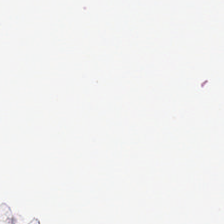Q: What does this patch show?
A: It is background.
